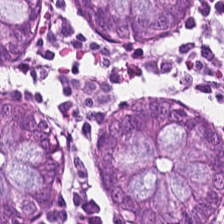WSI patch · H&E-stained tissue section · 224×224 px patch.
{"tissue_type": "non-neoplastic colon mucosa"}
